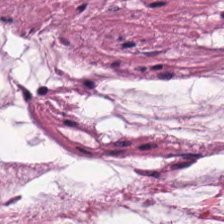Hematoxylin-and-eosin stained section.
Tissue class: mucus.
